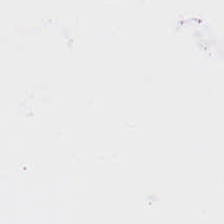Empty background.
